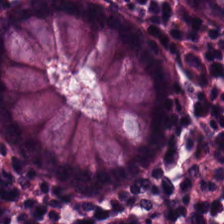Hematoxylin and eosin.
The tissue here is benign colonic mucosa.
